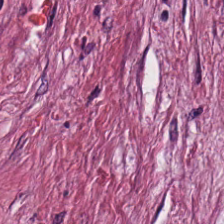Hematoxylin-and-eosin stained section — Predominantly desmoplastic stroma.
